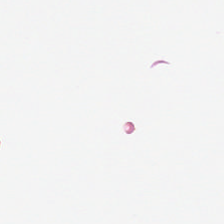Hematoxylin and eosin — This patch shows background.
